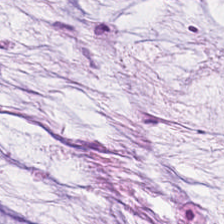Stain: H&E-stained tissue section.
Predominant tissue: mucin.
